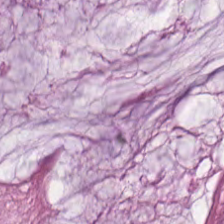Classification — extracellular mucin.
